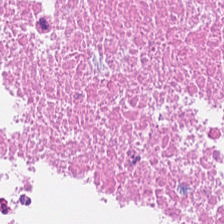Q: Identify the tissue.
A: Cellular debris.
